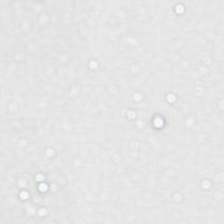Hematoxylin and eosin; 224×224 px tile — Q: What does this patch show?
A: This is background (no tissue).
